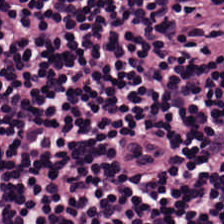H&E. 0.5 µm/px. Brightfield.
Q: What tissue is shown?
A: The field shows lymphoid infiltrate.
